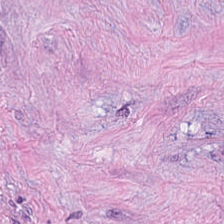Stain: hematoxylin-and-eosin stained section.
Classification: cancer-associated stroma.
